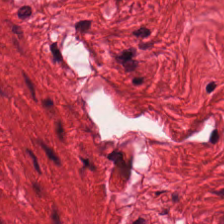WSI patch · 0.5 µm/px · H&E-stained tissue section — Q: What is shown in this field?
A: This is smooth-muscle tissue.
